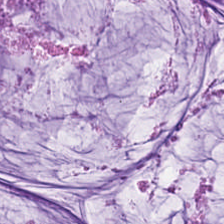Hematoxylin-and-eosin stained section. {"tissue_type": "extracellular mucin"}
